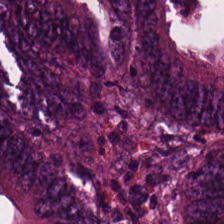Hematoxylin-and-eosin stained section. Whole-slide-image patch — This field is malignant epithelium.
